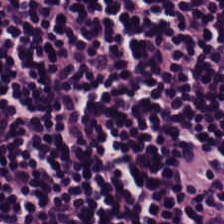Hematoxylin-and-eosin section: lymphocyte aggregate.
